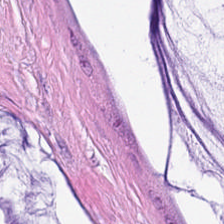20× equivalent magnification. Hematoxylin and eosin. Predominant tissue = mucus.
